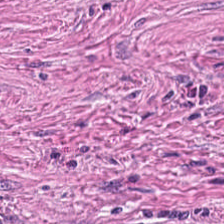H&E-stained tissue section — Showing tumor stroma.
